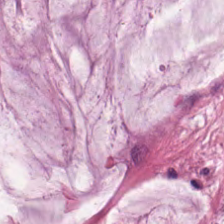Hematoxylin-and-eosin stained section. 224×224 px tile.
Mucin.
